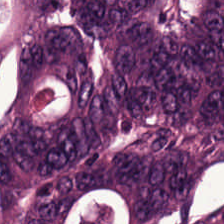20× equivalent magnification · H&E-stained tissue section · 224×224 px patch.
The tissue type is adenocarcinoma.
